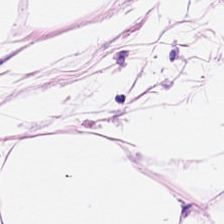This field is fat tissue.
